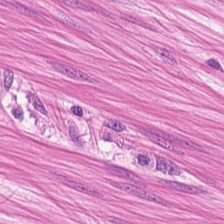Stain: hematoxylin-and-eosin stained section.
Tissue class: muscularis.
